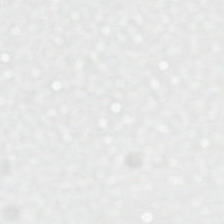Hematoxylin-and-eosin stained section.
This field is background (no tissue).
